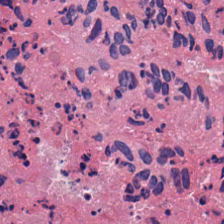H&E — cellular debris.
